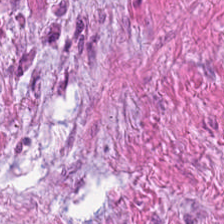WSI patch; hematoxylin and eosin; FFPE tissue section. Q: What tissue is shown?
A: This is smooth muscle.
